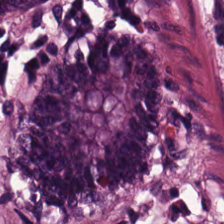H&E.
Tissue class: normal colon mucosa.
